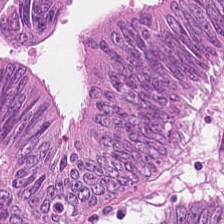Hematoxylin and eosin.
The predominant tissue is colorectal adenocarcinoma epithelium.
